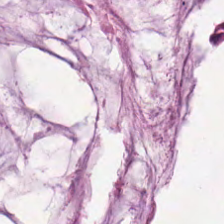Stain: H&E.
Resolution: 0.5 µm per pixel.
Tissue type: mucus.
